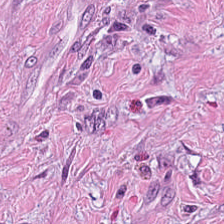H&E-stained tissue section showing tumor-associated stroma.
